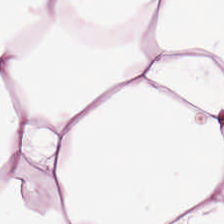H&E stain. This patch shows adipose.
